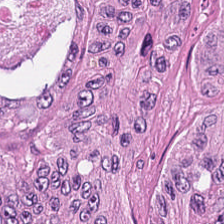H&E-stained tissue section showing adenocarcinoma.
